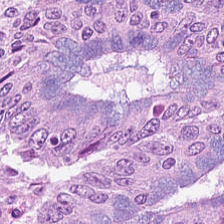224×224 px tile · H&E stain.
Q: What type of tissue is this?
A: This is colorectal adenocarcinoma epithelium.
